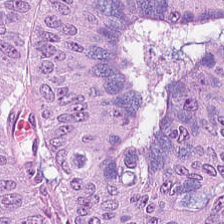Hematoxylin-and-eosin stained section.
Classification — adenocarcinoma.
